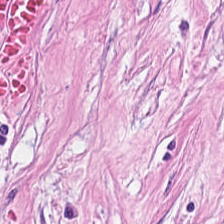Hematoxylin-and-eosin stained section. Q: What tissue type is shown here?
A: This is tumor stroma.
